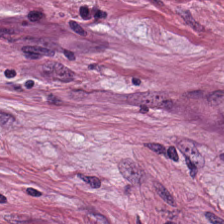0.5 µm/px. Hematoxylin-and-eosin stained section. Tissue: tumor stroma.
